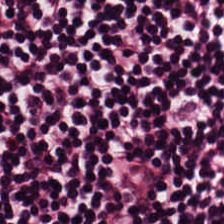Stain: hematoxylin-and-eosin stained section.
Predominant tissue: lymphocyte aggregate.
